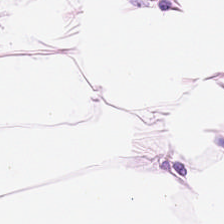H&E stain.
The tissue is adipose.
